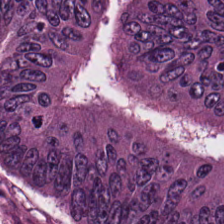Hematoxylin and eosin — Tissue type = adenocarcinoma.
